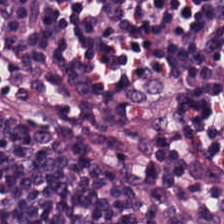20× equivalent magnification. H&E stain.
The classification is lymphocytic infiltrate.
